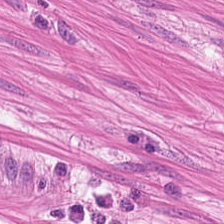Hematoxylin-and-eosin stained section.
This field is smooth muscle.
